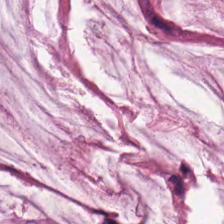Stain: hematoxylin-and-eosin stained section.
Resolution: 20× equivalent magnification.
Predominant tissue: mucin.
